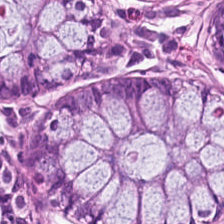The tissue here is non-neoplastic colon mucosa.
